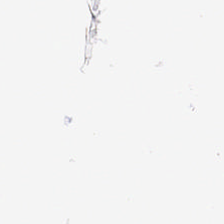Hematoxylin and eosin. No tissue present; background only.
